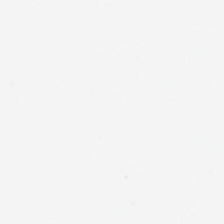Q: What is shown in this field?
A: The field shows no tissue.
